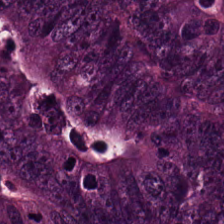0.5 µm per pixel · H&E-stained tissue section · WSI patch.
Q: What does this patch show?
A: It is malignant epithelium.
